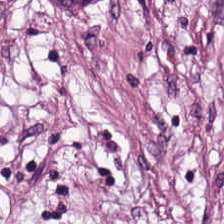Hematoxylin-and-eosin stained section. 0.5 µm/px. Q: What tissue type is shown here?
A: This is desmoplastic stroma.
